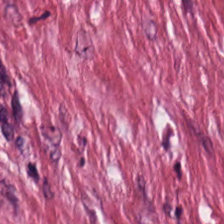0.5 µm/px. 224×224 px tile. H&E-stained tissue section.
Tissue = tumor stroma.
